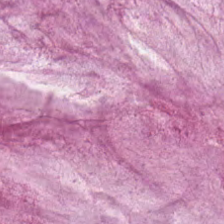Predominant tissue: extracellular mucin.
